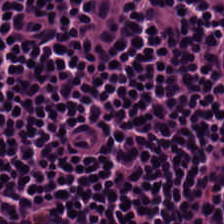Hematoxylin-and-eosin stained section.
Showing lymphocyte aggregate.
